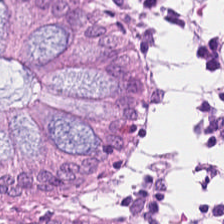{"tissue_type": "non-neoplastic colon mucosa"}
